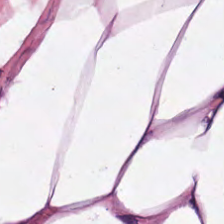Predominant tissue — adipose tissue.
